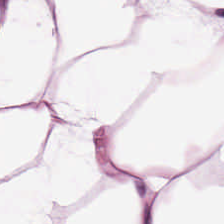The predominant tissue is adipose tissue.
